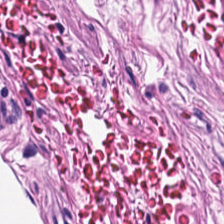H&E-stained tissue section.
Tissue type = smooth muscle.
